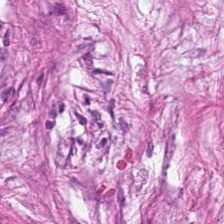0.5 µm/px · H&E stain.
Predominant tissue: tumor-associated stroma.
